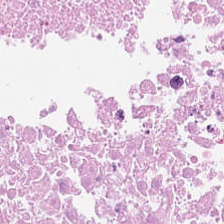H&E stain.
The predominant tissue is necrotic debris.
